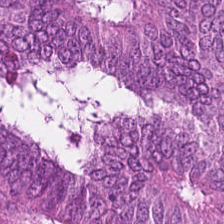0.5 microns per pixel · H&E stain — Tissue type = colorectal adenocarcinoma.
